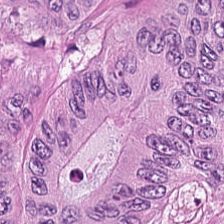H&E-stained tissue section. WSI patch. FFPE. Showing colorectal adenocarcinoma epithelium.
